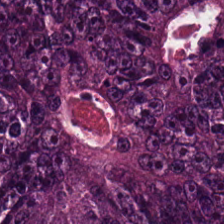H&E patch showing colorectal adenocarcinoma.
